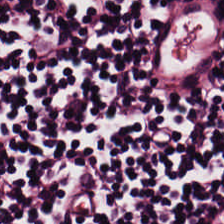Stain: hematoxylin-and-eosin stained section.
Preparation: formalin-fixed paraffin-embedded section.
Acquisition: WSI patch.
Classification: lymphocytes.
